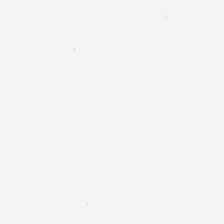Whole-slide-image patch; hematoxylin-and-eosin stained section — No tissue present; background only.
